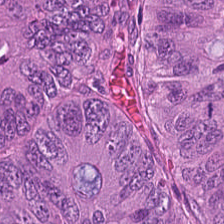H&E-stained tissue section. 224×224 pixel tile. Brightfield microscopy. The predominant tissue is malignant epithelium.
